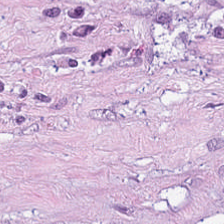Hematoxylin and eosin — Q: Identify the tissue.
A: This is desmoplastic stroma.
